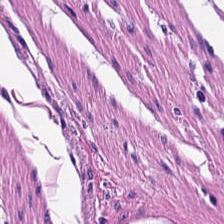Stain: H&E-stained tissue section.
Tissue class: smooth-muscle tissue.
